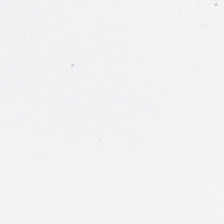{"content": "background (no tissue)"}
